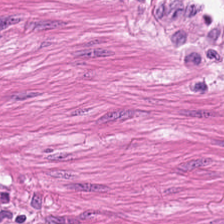Stain: H&E-stained tissue section.
Tissue: muscularis.
